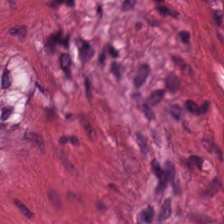H&E · FFPE tissue section. This field is smooth muscle.
